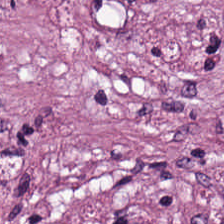Hematoxylin-and-eosin stained section. FFPE tissue section. Brightfield. The tissue here is desmoplastic stroma.
